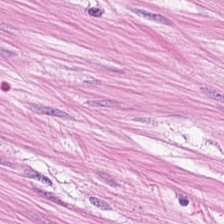Hematoxylin and eosin.
Predominant tissue = smooth muscle.
